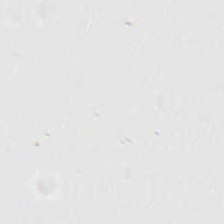Hematoxylin and eosin — Content = background (no tissue).
